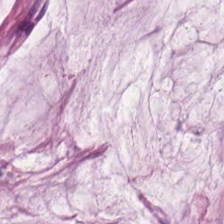Stain: H&E stain.
Predominant tissue: mucin.
